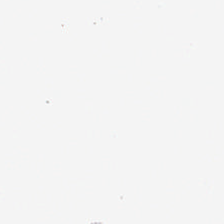The field content is empty background.
